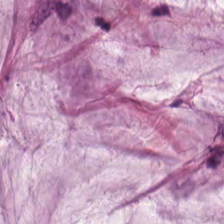Hematoxylin-and-eosin stained section.
The tissue here is mucus.
